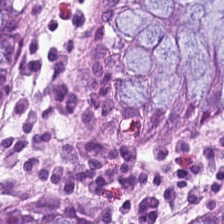The predominant tissue is non-neoplastic colon mucosa.
